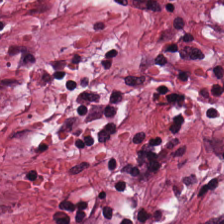This field is desmoplastic stroma.
